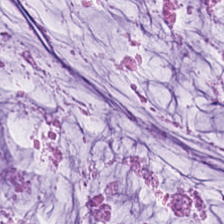H&E patch showing extracellular mucin.
